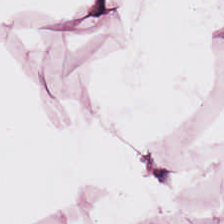Tissue type = fat tissue.
